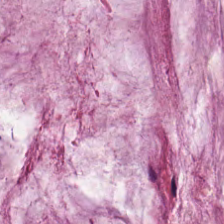FFPE tissue section; 224×224 pixel tile; hematoxylin-and-eosin stained section. Classification = mucus.
